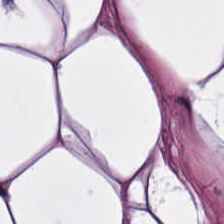Hematoxylin-and-eosin stained section.
Predominantly fat tissue.
